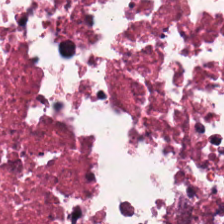H&E stain.
The tissue here is cellular debris.
